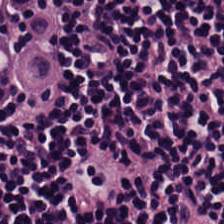0.5 µm/px; H&E stain.
Lymphocytes.
